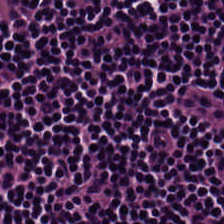Hematoxylin and eosin — This field is lymphoid infiltrate.
